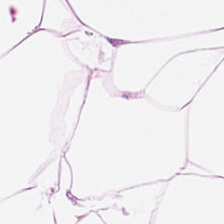H&E-stained tissue section.
Q: What is shown here?
A: It is fat tissue.
